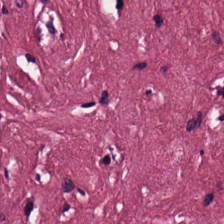H&E — Tumor stroma.
